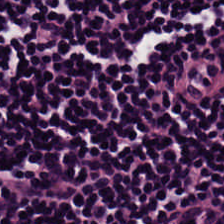0.5 µm/px · hematoxylin-and-eosin stained section — This patch shows lymphoid infiltrate.
